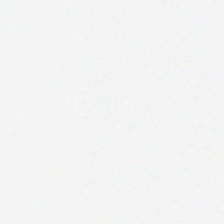H&E stain.
{"content": "background (no tissue)"}
